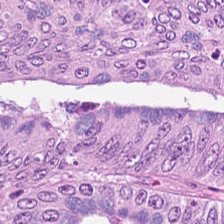Tissue: adenocarcinoma.
